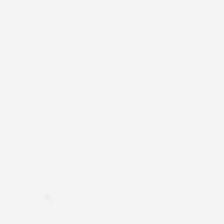0.5 microns per pixel · hematoxylin and eosin. This patch shows empty background.
